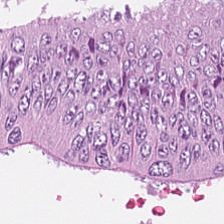Stain: H&E stain.
Tissue class: colorectal adenocarcinoma.
